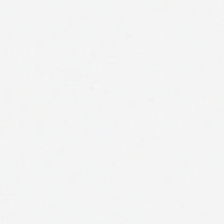Hematoxylin-and-eosin stained section · 0.5 microns per pixel — Background — no tissue in this field.
